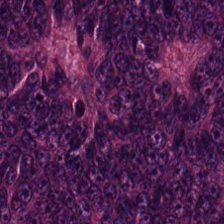Adenocarcinoma.
